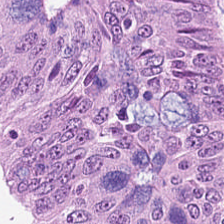Hematoxylin-and-eosin stained section.
Tissue: adenocarcinoma.
